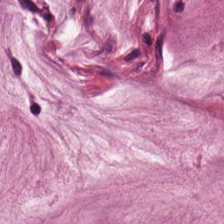H&E-stained tissue section. 224×224 pixel tile. FFPE — The tissue here is extracellular mucin.
